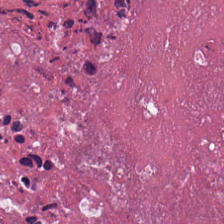Stain: hematoxylin-and-eosin stained section.
Predominant tissue: debris.
